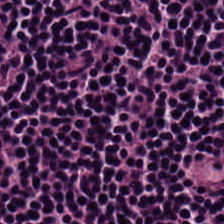Q: What is the predominant tissue type?
A: This is lymphocytic infiltrate.
